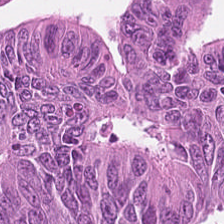Stain: hematoxylin and eosin.
Tissue type: adenocarcinoma.
